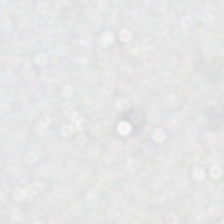Hematoxylin and eosin. 224×224 px patch. 0.5 µm per pixel.
Empty field — background.
